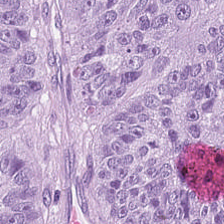224×224 px tile · hematoxylin and eosin.
This field is colorectal adenocarcinoma.
